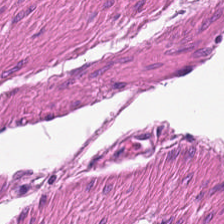Stain: H&E-stained tissue section.
Tissue: smooth muscle.
